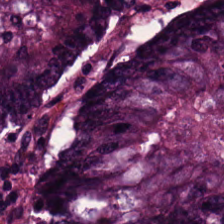H&E · whole-slide-image patch — Tissue type — adenocarcinoma.
